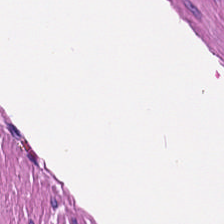H&E stain. Showing smooth-muscle tissue.
